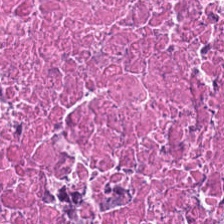Hematoxylin and eosin. This field is debris.
